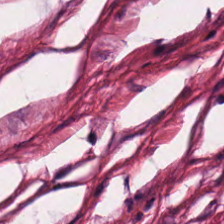Formalin-fixed paraffin-embedded section; 224×224 px patch; H&E stain. Q: Identify the tissue.
A: The field shows cancer-associated stroma.
